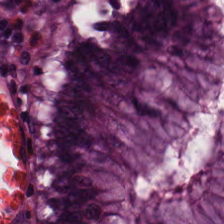H&E-stained tissue section; brightfield microscopy — Tissue class — benign colonic mucosa.
